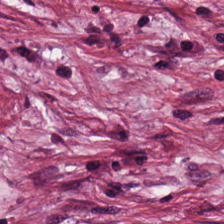Tissue type — tumor-associated stroma.
